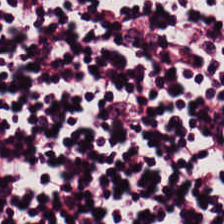FFPE · hematoxylin-and-eosin stained section · 0.5 microns per pixel. This field is lymphocyte aggregate.
